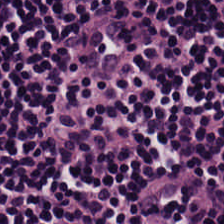Hematoxylin-and-eosin stained section. Tissue class = lymphoid infiltrate.
